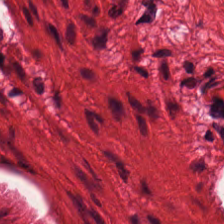H&E.
Smooth muscle.
